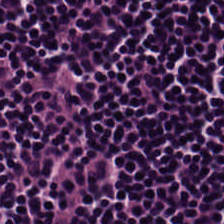224×224 px patch · H&E stain. {"tissue_type": "lymphocytes"}
